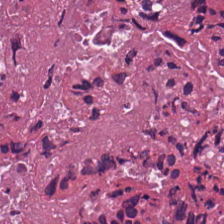224×224 px patch; H&E stain.
The tissue here is necrotic debris.
